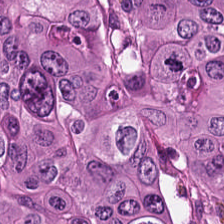The predominant tissue is adenocarcinoma.
